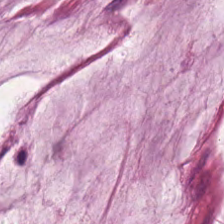H&E-stained tissue section. Tissue class: mucin.
